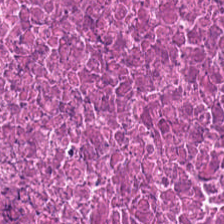H&E.
The tissue type is necrotic debris.
